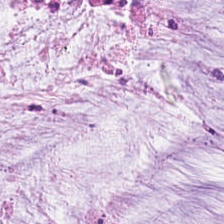H&E stain.
Tissue = extracellular mucin.
